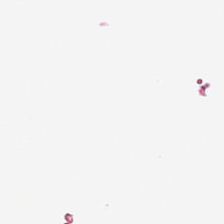Stain: hematoxylin-and-eosin stained section.
Resolution: 0.5 µm/px.
Classification: background.
